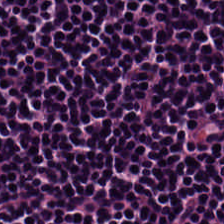FFPE; H&E-stained tissue section; 0.5 microns per pixel.
{"tissue_type": "lymphoid infiltrate"}
